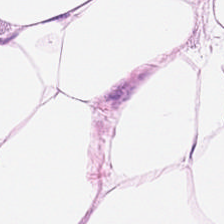Brightfield microscopy. H&E-stained tissue section — Predominant tissue: adipose tissue.
